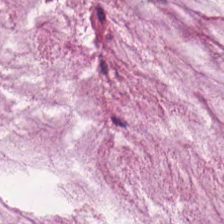The predominant tissue is mucus.
